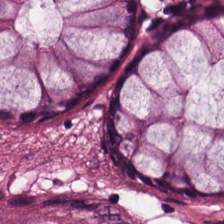H&E-stained tissue section. Finding — non-neoplastic colon mucosa.
